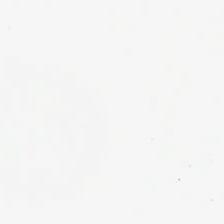FFPE tissue section. H&E.
Histology → no tissue.
